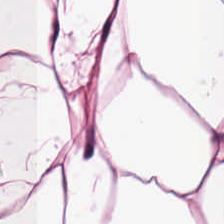224×224 px tile · hematoxylin and eosin.
This patch shows fat tissue.
